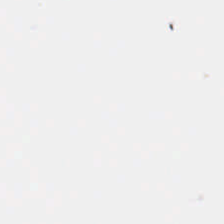Brightfield. Hematoxylin-and-eosin stained section. Field content = background.
